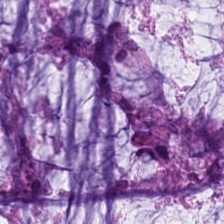H&E-stained tissue section — Mucus.
